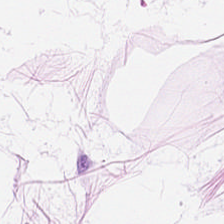Hematoxylin and eosin.
{"tissue_type": "fat tissue"}
